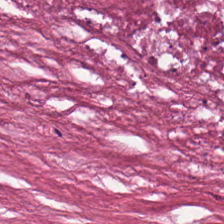Stain: H&E.
Resolution: 20× equivalent magnification.
Tile size: 224×224 px patch.
Tissue class: necrotic debris.
